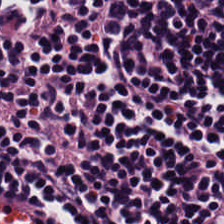H&E-stained tissue section · 224×224 px patch · FFPE tissue section.
{"tissue_type": "lymphocytes"}
